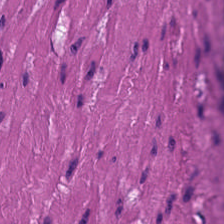Q: What is the predominant tissue type?
A: The field shows smooth-muscle tissue.
